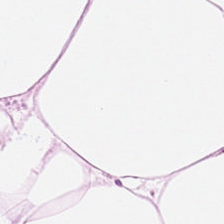Hematoxylin and eosin. This patch shows adipocytes.
